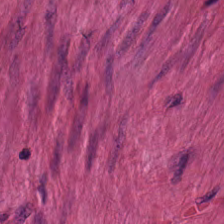H&E; brightfield — Tissue type: smooth muscle.
